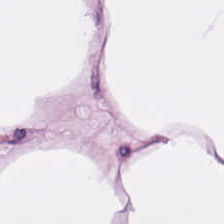Hematoxylin-and-eosin stained section; WSI patch — {"tissue_type": "adipose tissue"}
